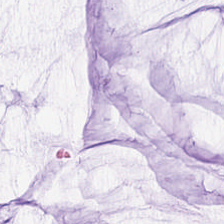H&E stain. The predominant tissue is mucus.
